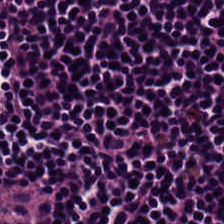224×224 pixel tile. Hematoxylin and eosin — The tissue here is lymphocyte aggregate.
